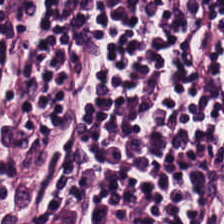H&E-stained tissue section.
The tissue type is lymphocytic infiltrate.
